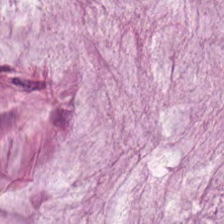Stain: H&E-stained tissue section.
Acquisition: brightfield.
Tissue class: mucin.
